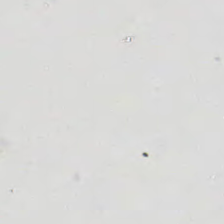Stain: H&E stain.
Resolution: 0.5 µm/px.
Classification: no tissue.
